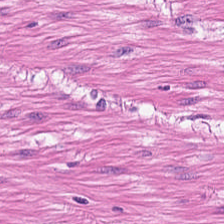Smooth muscle.
